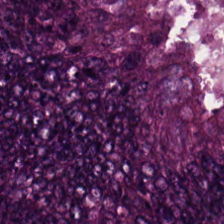Finding → adenocarcinoma.
